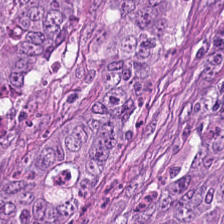Q: What type of tissue is this?
A: Adenocarcinoma.
